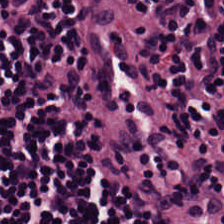0.5 µm per pixel; H&E. Q: What does this patch show?
A: Lymphocytes.
